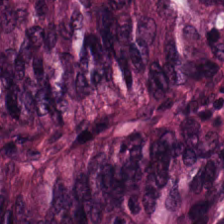WSI patch; H&E.
Tissue — colorectal adenocarcinoma.
